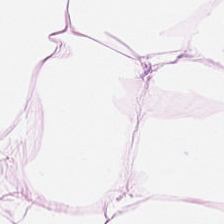Brightfield microscopy; 0.5 microns per pixel; H&E-stained tissue section — This field is adipose tissue.
